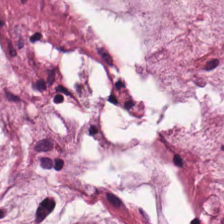Showing mucus.
